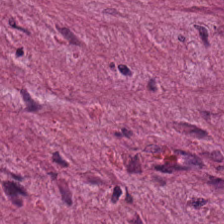Whole-slide-image patch. 224×224 pixel tile. H&E-stained tissue section.
Cancer-associated stroma.
